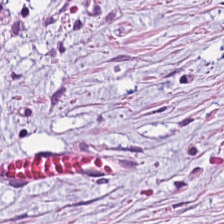Hematoxylin-and-eosin stained section.
Showing cancer-associated stroma.
